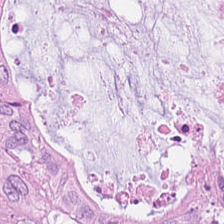H&E-stained tissue section. FFPE tissue section.
Tissue: malignant epithelium.
